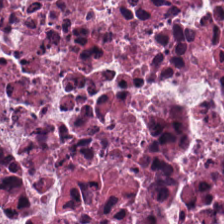Predominantly debris.
